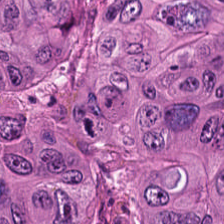Hematoxylin and eosin. Adenocarcinoma.
